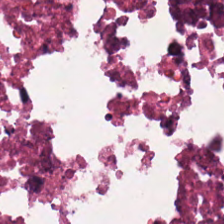Hematoxylin-and-eosin stained section — Impression → cellular debris.
